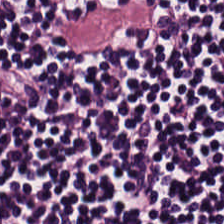Hematoxylin and eosin. The tissue here is lymphoid infiltrate.
